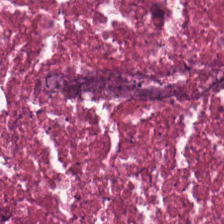H&E stain. Tissue type = debris.
